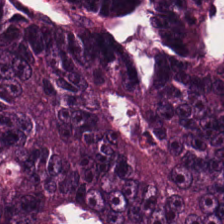Stain: hematoxylin-and-eosin stained section.
Tissue type: malignant epithelium.
